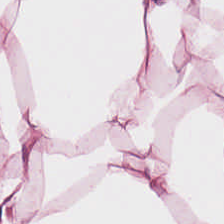Impression → fat tissue.
